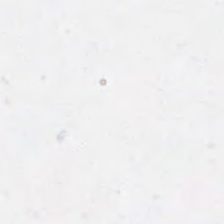H&E. 224×224 px patch. Q: What is shown here?
A: The field shows background.
